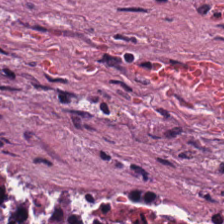0.5 µm per pixel. H&E stain.
{"tissue_type": "tumor-associated stroma"}
